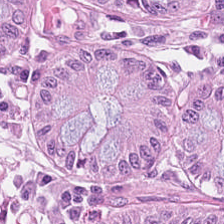H&E-stained tissue section · brightfield microscopy. Tissue class: normal colon mucosa.
